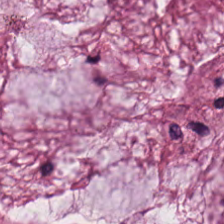Hematoxylin-and-eosin stained section. Q: What is shown here?
A: Extracellular mucin.
